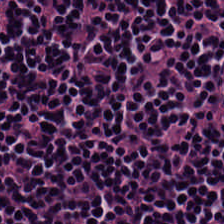H&E-stained tissue section. 0.5 microns per pixel. WSI patch — {"tissue_type": "lymphocytes"}
